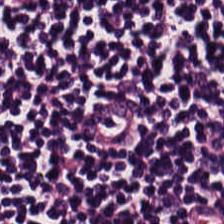Stain: H&E stain.
Tissue class: lymphocytes.
